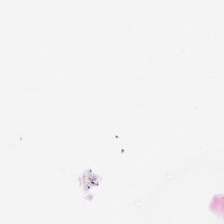Formalin-fixed paraffin-embedded section · brightfield · hematoxylin-and-eosin stained section — Background (no tissue).
